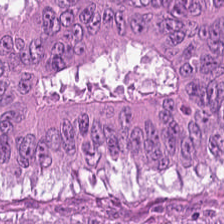Tissue type = tumor epithelium.
